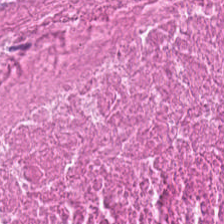Finding → cellular debris.
